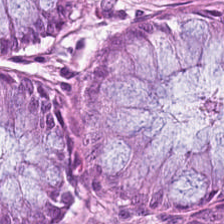H&E stain; FFPE; 20× equivalent magnification. Finding — normal colonic mucosa.
